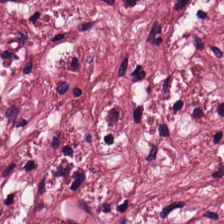Hematoxylin and eosin. This patch shows cancer-associated stroma.
